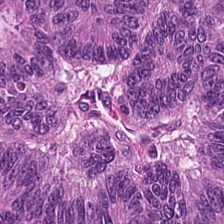Stain: hematoxylin-and-eosin stained section.
Tile size: 224×224 px tile.
Tissue class: tumor epithelium.
